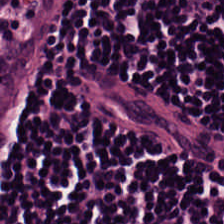{"tissue_type": "lymphocyte aggregate"}
